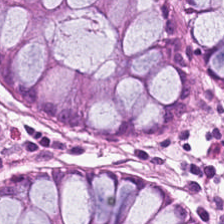H&E-stained tissue section — Histology → benign colonic mucosa.
